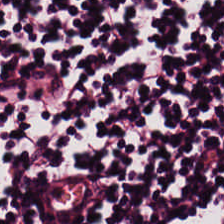224×224 px patch; 0.5 µm per pixel; H&E. The predominant tissue is lymphocytes.
